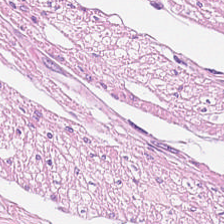Hematoxylin and eosin — Smooth muscle.
